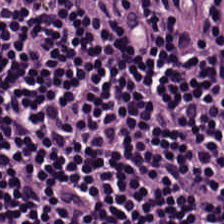Hematoxylin-and-eosin stained section — Histology — lymphoid infiltrate.
